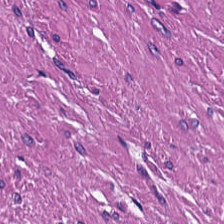Stain: hematoxylin and eosin.
Tile size: 224×224 px patch.
Tissue: muscularis.
